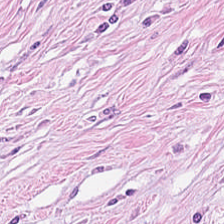Hematoxylin and eosin; whole-slide-image patch. Predominant tissue — desmoplastic stroma.
